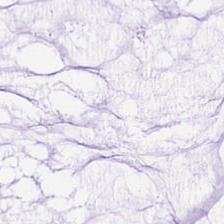H&E · 224×224 px patch.
Impression → mucus.
